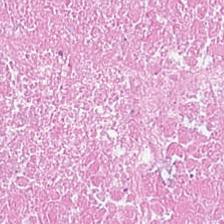Finding — debris.
